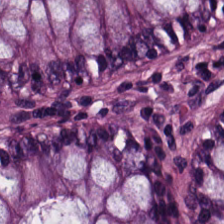Whole-slide-image patch. Hematoxylin-and-eosin stained section.
Impression → non-neoplastic colon mucosa.
